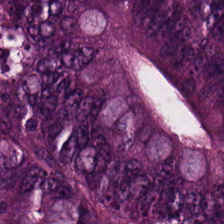H&E-stained tissue section. 0.5 microns per pixel. Whole-slide-image patch — The predominant tissue is colorectal adenocarcinoma epithelium.
